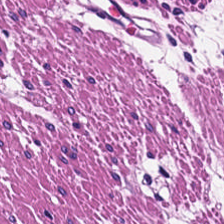H&E-stained tissue section. Classification = smooth-muscle tissue.
